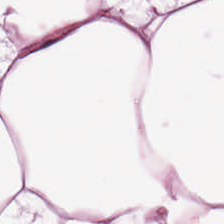Formalin-fixed paraffin-embedded section · H&E stain. Q: Identify the tissue.
A: It is adipose.
